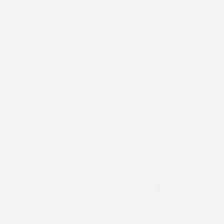Q: What is shown in this field?
A: The field shows background.
